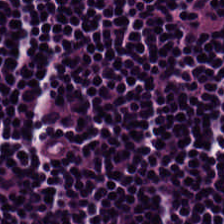H&E stain · brightfield. This patch shows lymphocytes.
